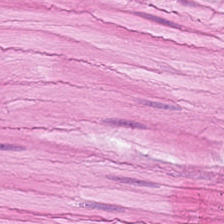Hematoxylin-and-eosin stained section.
Impression — smooth muscle.
